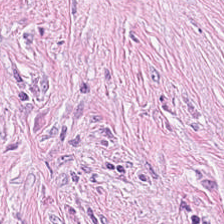Q: What does this patch show?
A: Cancer-associated stroma.
